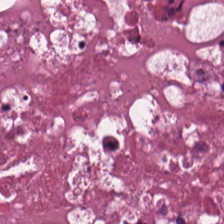H&E-stained section; the field shows debris.
